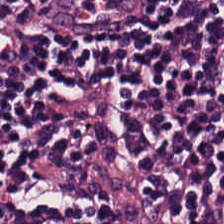H&E — Q: Classify this patch.
A: This is lymphocyte aggregate.
